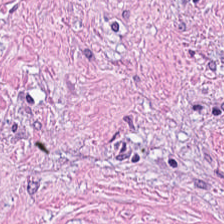Stain: H&E stain.
Tissue class: tumor stroma.
